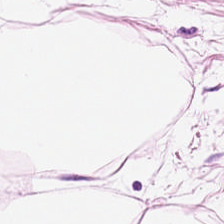H&E stain · 224×224 pixel tile · FFPE. Finding — adipose tissue.
